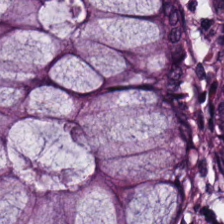H&E-stained tissue section. Finding → non-neoplastic colon mucosa.
